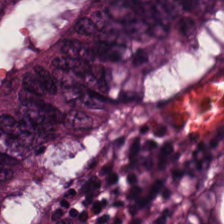Stain: H&E stain.
Tile size: 224×224 px tile.
Resolution: 0.5 microns per pixel.
Predominant tissue: adenocarcinoma.
